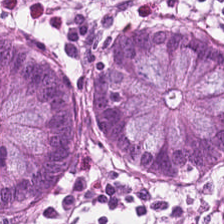H&E-stained tissue section. Tissue — normal colon mucosa.
